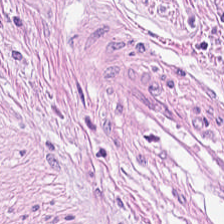H&E. Tissue type = cancer-associated stroma.
